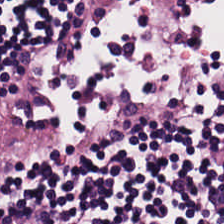Hematoxylin-and-eosin stained section.
Lymphocytic infiltrate.
